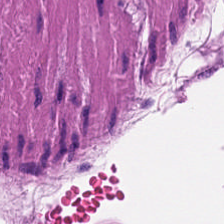This field is muscularis.
